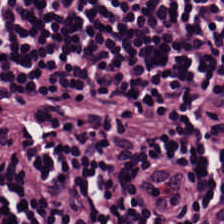The classification is lymphocytes.
